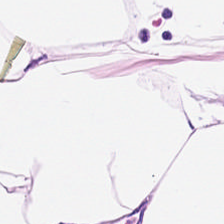Impression → adipocytes.
